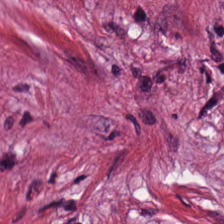Hematoxylin-and-eosin stained section · whole-slide-image patch.
Q: What is the predominant tissue type?
A: This is cancer-associated stroma.
